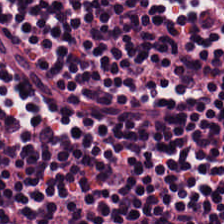Tissue class = lymphocytes.
